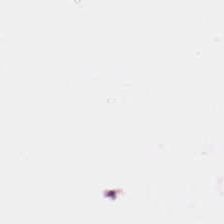Formalin-fixed paraffin-embedded section. Hematoxylin-and-eosin stained section. 0.5 µm/px.
No tissue present; background only.
